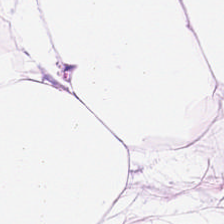H&E — Showing adipose.
